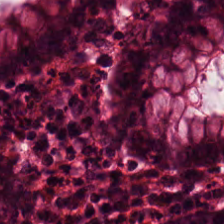Hematoxylin and eosin — {"tissue_type": "normal colonic mucosa"}
